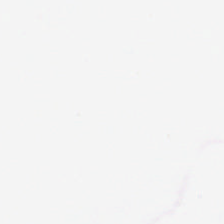H&E — Finding — background.
